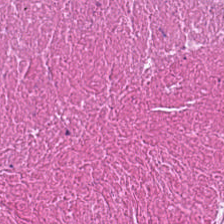0.5 µm per pixel · H&E stain. This patch shows debris.
